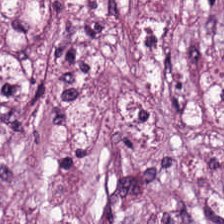Tissue class = desmoplastic stroma.
